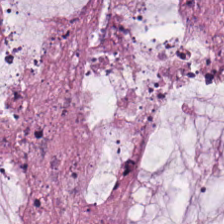H&E.
Predominantly mucin.
